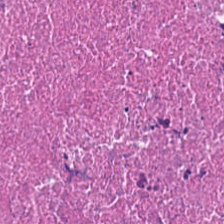224×224 px tile · H&E-stained tissue section — Debris.
